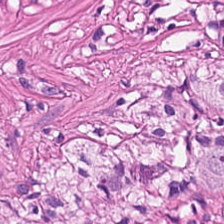0.5 microns per pixel. Hematoxylin-and-eosin stained section.
{"tissue_type": "smooth muscle"}
